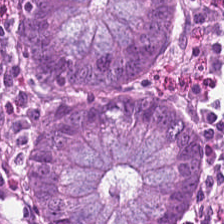Hematoxylin-and-eosin stained section. Q: What tissue type is shown here?
A: The field shows normal colon mucosa.
